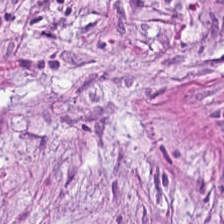Whole-slide-image patch · H&E — This patch shows desmoplastic stroma.
